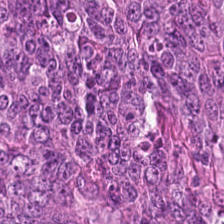Hematoxylin-and-eosin stained section. Impression → colorectal adenocarcinoma.
